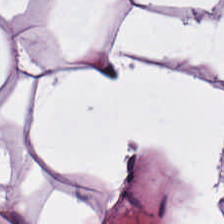Hematoxylin and eosin — Tissue type — adipose tissue.
